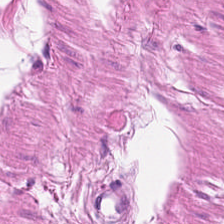0.5 microns per pixel · hematoxylin-and-eosin stained section. Predominant tissue = muscularis.
